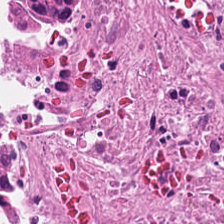Hematoxylin and eosin.
Predominant tissue: debris.
